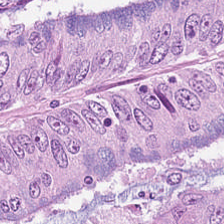224×224 pixel tile · H&E · 0.5 microns per pixel. Finding → malignant epithelium.
